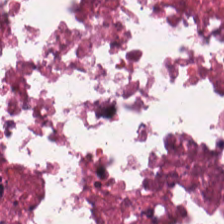Hematoxylin and eosin. Q: What type of tissue is this?
A: This is cellular debris.
